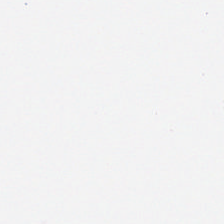FFPE tissue section. Brightfield microscopy. Hematoxylin-and-eosin stained section — Finding → no tissue.
